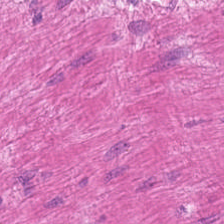0.5 microns per pixel; H&E.
Finding — muscularis.
